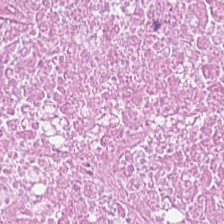Stain: H&E.
Predominant tissue: debris.
